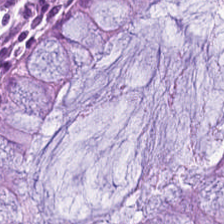Stain: H&E-stained tissue section.
Classification: non-neoplastic colon mucosa.
